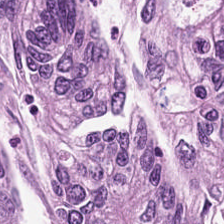Stain: H&E stain.
Classification: malignant epithelium.
